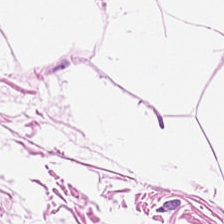H&E stain — Showing adipose.
